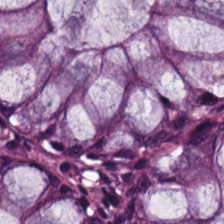Hematoxylin and eosin. Classification — normal colon mucosa.
